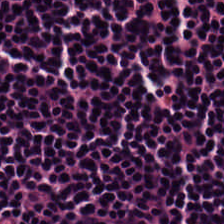Stain: H&E stain.
Tile size: 224×224 px tile.
Tissue class: lymphocytes.
